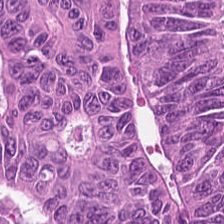Hematoxylin and eosin; brightfield. Finding — malignant epithelium.
